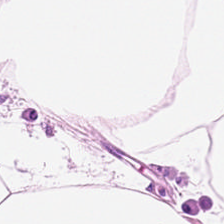0.5 microns per pixel. H&E-stained tissue section. Showing fat tissue.
